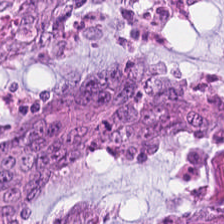The tissue is tumor epithelium.
